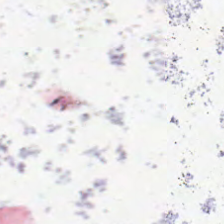H&E-stained tissue section. Q: Classify this patch.
A: The field shows no tissue.
